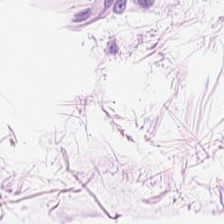H&E · WSI patch. This patch shows adipocytes.
